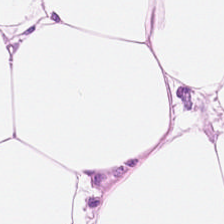Brightfield · H&E. This patch shows adipose tissue.
